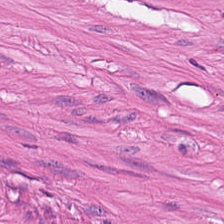H&E-stained tissue section — Tissue class: muscularis.
